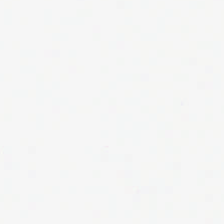H&E.
Histology — background.
